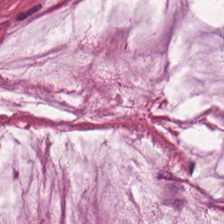Stain: hematoxylin-and-eosin stained section.
Resolution: 0.5 microns per pixel.
Tissue type: extracellular mucin.
